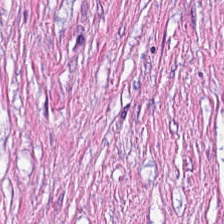H&E-stained tissue section.
The predominant tissue is desmoplastic stroma.
